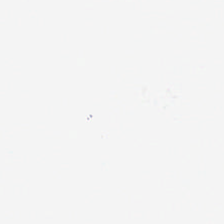Stain: H&E.
Resolution: 0.5 µm/px.
Classification: background.
